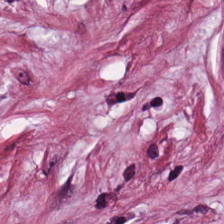H&E.
Q: What is the predominant tissue type?
A: The field shows tumor-associated stroma.
